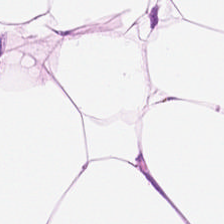Brightfield; H&E stain — Histology — adipocytes.
